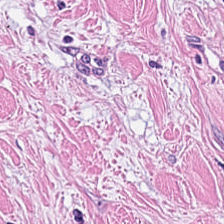Stain: H&E stain.
Acquisition: brightfield microscopy.
Classification: cancer-associated stroma.
